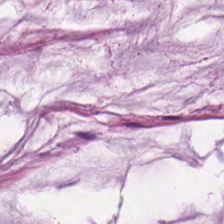H&E patch showing mucus.
